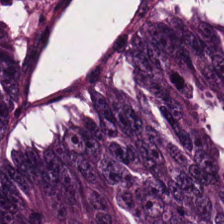H&E stain — Tissue — tumor epithelium.
